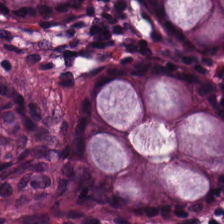H&E stain — {"tissue_type": "normal colonic mucosa"}
